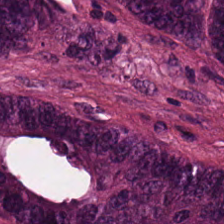Stain: H&E stain.
Tile size: 224×224 pixel tile.
Resolution: 20× equivalent magnification.
Predominant tissue: colorectal adenocarcinoma.
